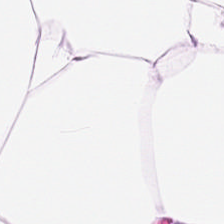H&E. Finding — adipose tissue.
